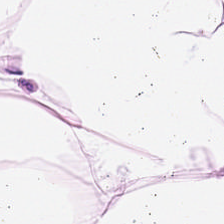Classification = adipose.
